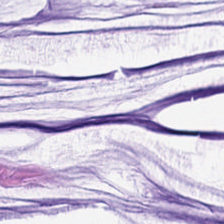H&E — Showing extracellular mucin.
